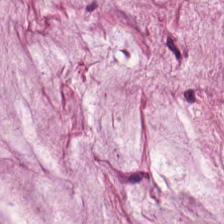Hematoxylin-and-eosin stained section.
The tissue here is mucin.
